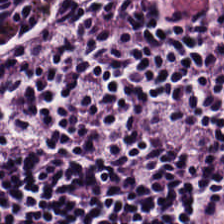H&E. Formalin-fixed paraffin-embedded section. This patch shows lymphocytic infiltrate.
